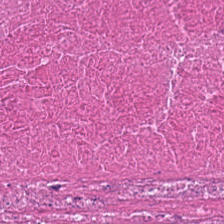H&E — Predominant tissue: debris.
